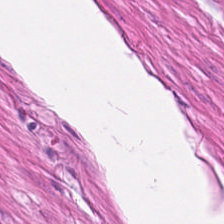H&E stain · formalin-fixed paraffin-embedded section. Q: What tissue is shown?
A: It is smooth-muscle tissue.
